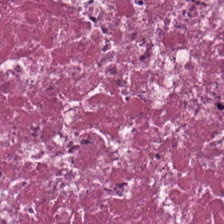Stain: H&E stain.
Classification: cellular debris.
